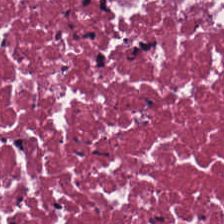H&E-stained tissue section. Histology — cellular debris.
